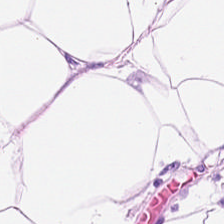Hematoxylin and eosin.
Showing adipocytes.
